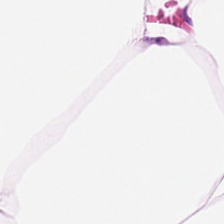Hematoxylin and eosin.
This field is adipose.
